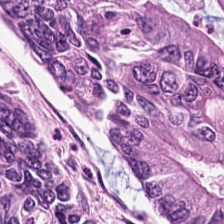H&E stain. Impression — malignant epithelium.
